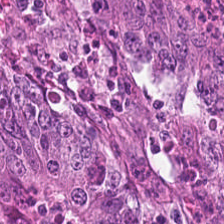H&E.
Classification: colorectal adenocarcinoma epithelium.
